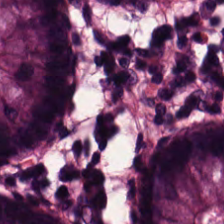Hematoxylin and eosin.
The predominant tissue is non-neoplastic colon mucosa.
